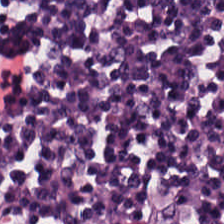H&E. Q: What is shown in this field?
A: Lymphocyte aggregate.
